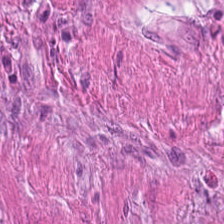Stain: hematoxylin and eosin.
Acquisition: brightfield.
Predominant tissue: smooth-muscle tissue.
